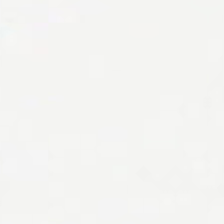H&E — The classification is background.
